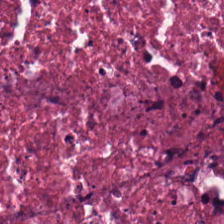Hematoxylin and eosin — Q: What tissue type is shown here?
A: Necrotic debris.
